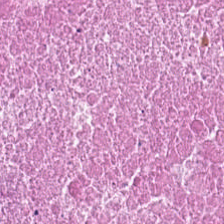H&E-stained tissue section · 0.5 microns per pixel — Finding → necrotic debris.
